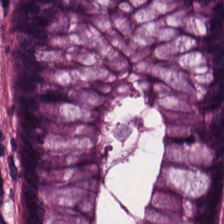Finding — normal colon mucosa.
